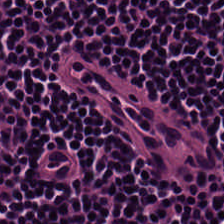Tissue: lymphocytic infiltrate.
